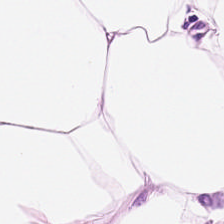0.5 µm per pixel; H&E; FFPE.
The tissue type is adipocytes.
